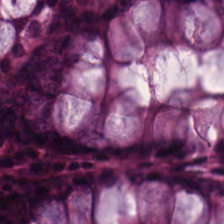FFPE tissue section. Hematoxylin and eosin.
This patch shows benign colonic mucosa.
